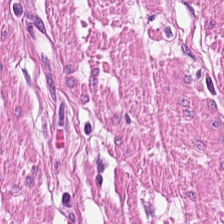224×224 px tile. H&E.
Smooth-muscle tissue.
